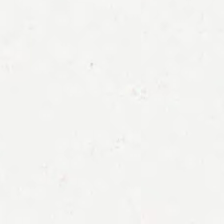Stain: hematoxylin and eosin.
Content: background.
